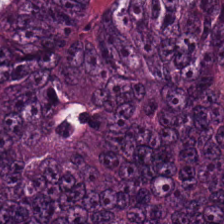Hematoxylin-and-eosin stained section. Predominantly colorectal adenocarcinoma.
